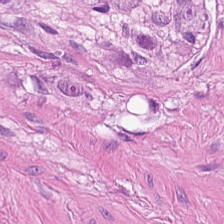H&E stain.
The predominant tissue is smooth muscle.
